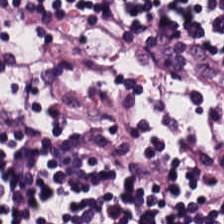Hematoxylin and eosin.
The predominant tissue is lymphocytes.
